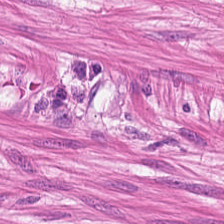Hematoxylin-and-eosin stained section. Tissue type — smooth-muscle tissue.
